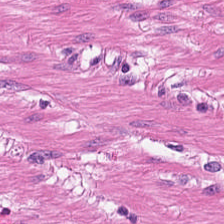H&E-stained tissue section · formalin-fixed paraffin-embedded section.
The predominant tissue is muscularis.
